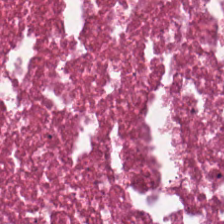Finding — debris.
